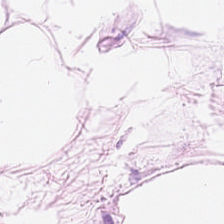0.5 µm/px; H&E stain; 224×224 pixel tile.
Predominantly fat tissue.
